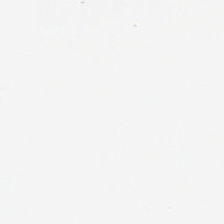H&E stain — Classification = no tissue.
